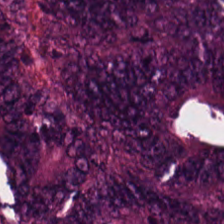Stain: hematoxylin-and-eosin stained section.
Tile size: 224×224 pixel tile.
Resolution: 20× equivalent magnification.
Tissue class: malignant epithelium.
